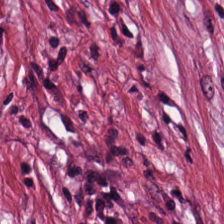Stain: H&E stain.
Classification: tumor stroma.
